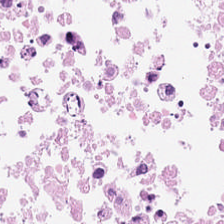224×224 px tile · H&E. Necrotic debris.
